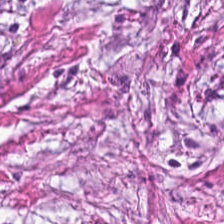0.5 µm per pixel · WSI patch · H&E-stained tissue section. This field is tumor-associated stroma.
